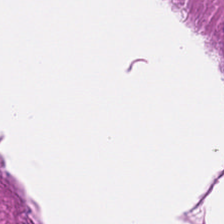Hematoxylin and eosin.
The predominant tissue is muscularis.
